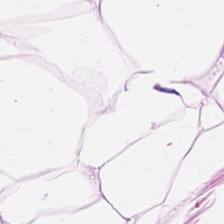H&E stain — This patch shows adipocytes.
